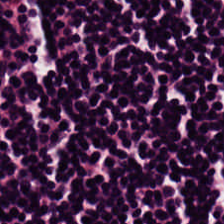Histology — lymphocytes.
